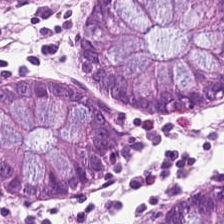Tissue type — normal colonic mucosa.
